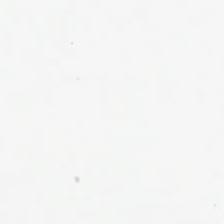H&E.
Finding — no tissue.
